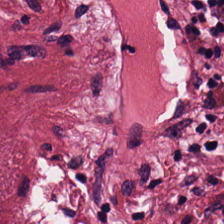Stain: H&E-stained tissue section.
Tissue: desmoplastic stroma.
